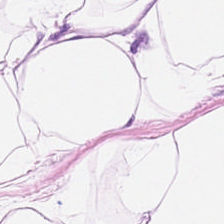Q: What tissue is shown?
A: Adipose.
